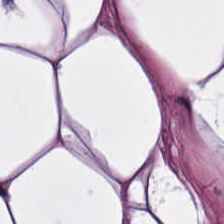0.5 µm per pixel; H&E-stained tissue section — Tissue class = adipose.
